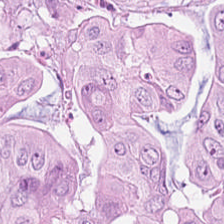Formalin-fixed paraffin-embedded section. H&E.
Q: What tissue is shown?
A: This is colorectal adenocarcinoma epithelium.
